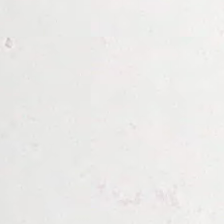Hematoxylin and eosin. Classification — empty background.
